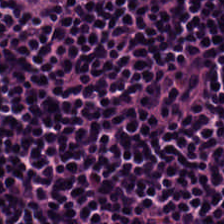H&E-stained tissue section. 224×224 px patch. Q: What tissue type is shown here?
A: It is lymphoid infiltrate.
